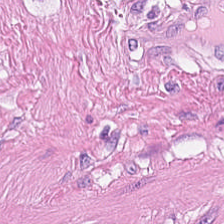Q: What tissue is shown?
A: It is smooth muscle.
